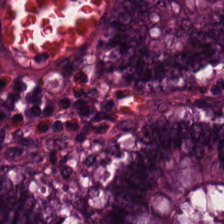Tissue — benign colonic mucosa.
